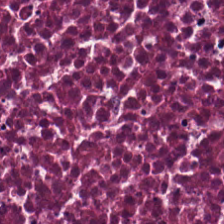Hematoxylin-and-eosin stained section. Tissue class: cellular debris.
